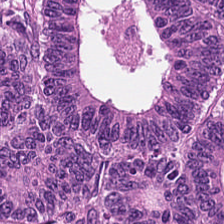Stain: hematoxylin and eosin.
Tissue type: tumor epithelium.
